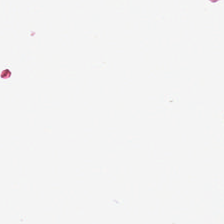Background — no tissue in this field.
